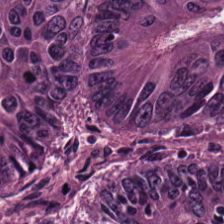Hematoxylin and eosin · formalin-fixed paraffin-embedded section. The predominant tissue is adenocarcinoma.
